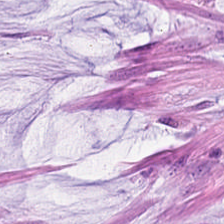Brightfield microscopy; H&E; 20× equivalent magnification. Q: What tissue is shown?
A: It is extracellular mucin.
